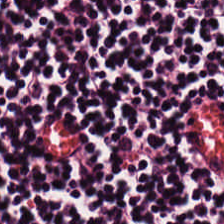H&E — Classification = lymphocytes.
